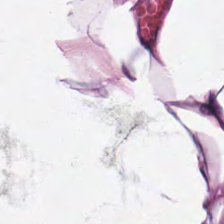Stain: hematoxylin-and-eosin stained section.
Tissue class: adipose tissue.
